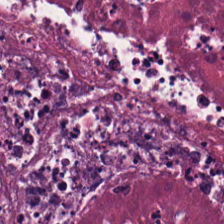0.5 microns per pixel · hematoxylin and eosin · 224×224 pixel tile — Predominant tissue — necrotic debris.
